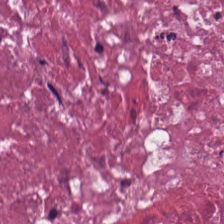FFPE tissue section; hematoxylin-and-eosin stained section. Predominant tissue: debris.
